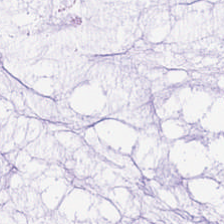Q: What is shown in this field?
A: This is extracellular mucin.
